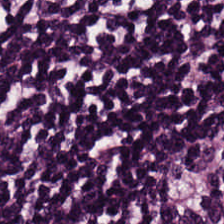H&E-stained tissue section. Tissue class — lymphocytic infiltrate.
